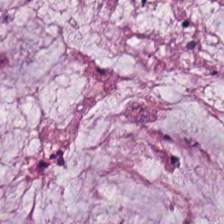H&E — The classification is extracellular mucin.
